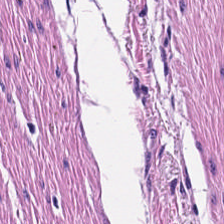H&E. Smooth-muscle tissue.
